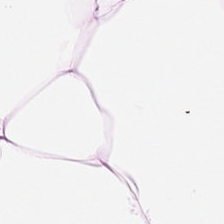H&E — This field is adipose.
